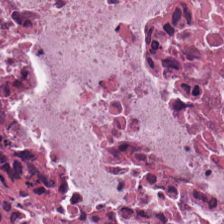Hematoxylin-and-eosin stained section — The tissue here is cellular debris.
